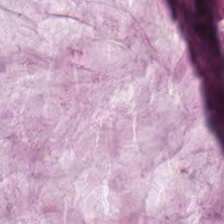H&E.
Showing extracellular mucin.
